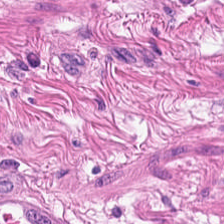Classification — muscularis.
